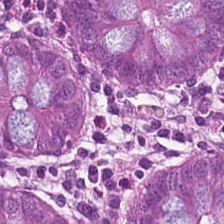0.5 µm per pixel. H&E-stained tissue section. Formalin-fixed paraffin-embedded section. Non-neoplastic colon mucosa.
